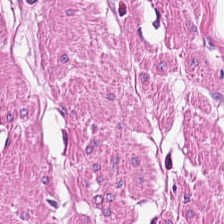H&E-stained tissue section.
Showing smooth-muscle tissue.
